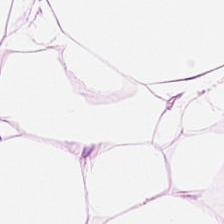Hematoxylin-and-eosin stained section.
This field is adipose tissue.
